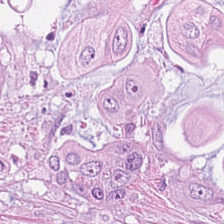H&E-stained tissue section. Tissue class — colorectal adenocarcinoma.
